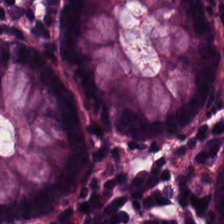Hematoxylin and eosin — Finding → normal colon mucosa.
